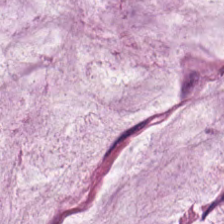Hematoxylin and eosin. Predominantly mucus.
